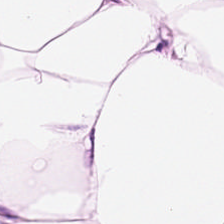0.5 µm per pixel · H&E stain. The tissue here is adipose.
